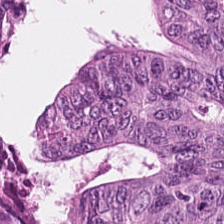Impression → tumor epithelium.
